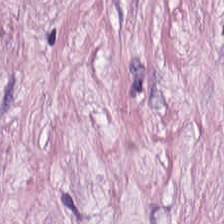H&E. Tissue type — cancer-associated stroma.
